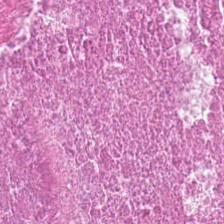FFPE; WSI patch; H&E-stained tissue section.
{"tissue_type": "debris"}
